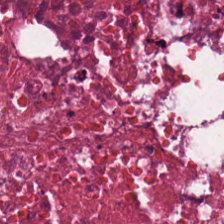Tissue class — cellular debris.
